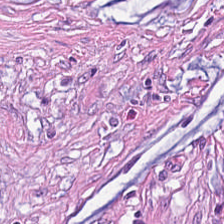Finding — desmoplastic stroma.
